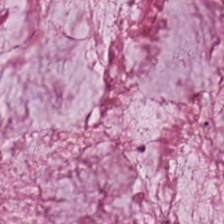Q: What tissue type is shown here?
A: Mucus.
